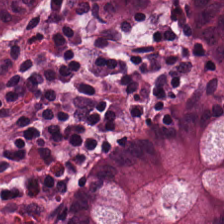Hematoxylin and eosin — {"tissue_type": "benign colonic mucosa"}
